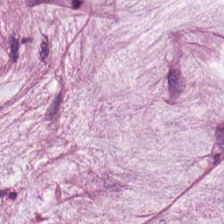Brightfield microscopy · H&E. Classification — mucus.
